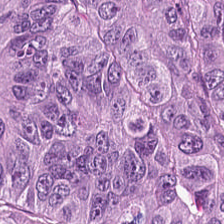H&E-stained tissue section. The predominant tissue is colorectal adenocarcinoma.
